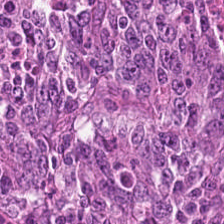H&E — {"tissue_type": "colorectal adenocarcinoma"}
